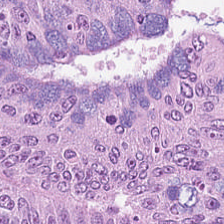Colorectal adenocarcinoma epithelium.
